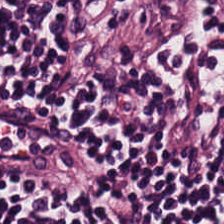Hematoxylin and eosin.
Impression — lymphocytic infiltrate.
